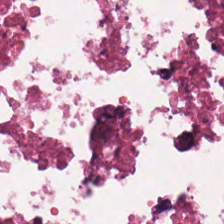0.5 µm per pixel. Hematoxylin-and-eosin stained section. The tissue here is necrotic debris.
